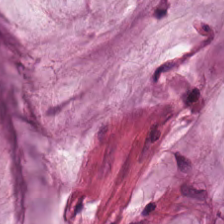224×224 pixel tile · H&E-stained tissue section.
The tissue is extracellular mucin.
